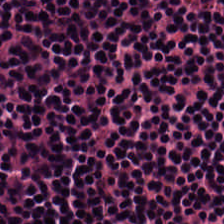H&E — Predominant tissue: lymphocyte aggregate.
